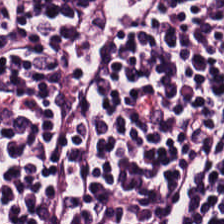Finding — lymphocytes.
